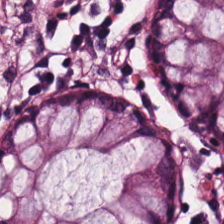This patch shows normal colon mucosa.
